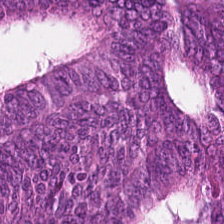Q: What type of tissue is this?
A: The field shows colorectal adenocarcinoma.
